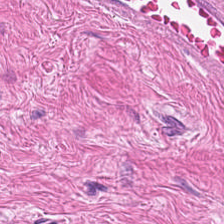Stain: H&E-stained tissue section.
Resolution: 20× equivalent magnification.
Tissue class: smooth muscle.
